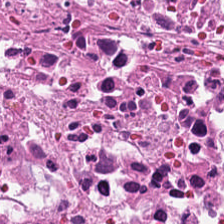H&E stain.
The tissue here is cellular debris.
